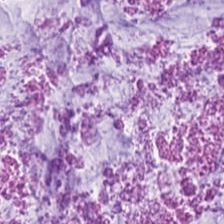H&E-stained tissue section.
Q: What tissue is shown?
A: This is mucus.
